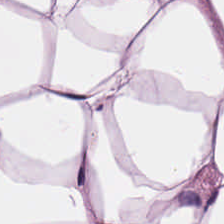Predominantly adipose.
